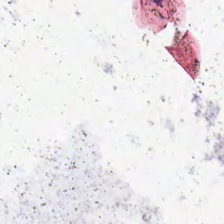H&E stain; FFPE — Q: What is shown in this field?
A: This is background.
